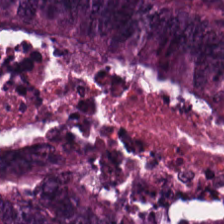H&E-stained tissue section. Formalin-fixed paraffin-embedded section. 0.5 microns per pixel. The predominant tissue is colorectal adenocarcinoma epithelium.
